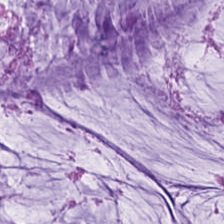Stain: hematoxylin and eosin.
Tissue class: extracellular mucin.
